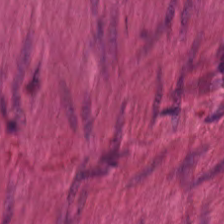Hematoxylin-and-eosin stained section · formalin-fixed paraffin-embedded section. Q: What tissue type is shown here?
A: It is smooth muscle.
